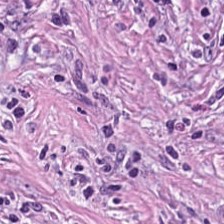Hematoxylin and eosin.
The predominant tissue is cancer-associated stroma.
